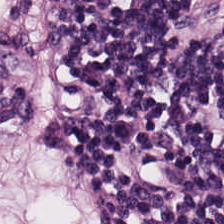Showing lymphoid infiltrate.
